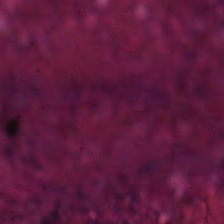224×224 px patch. Hematoxylin and eosin. WSI patch.
Impression → necrotic debris.
